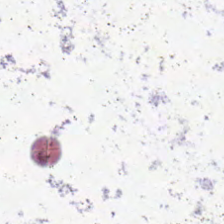Field content: background.
